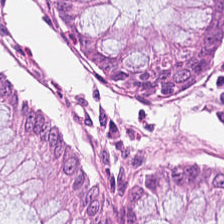Hematoxylin and eosin. This patch shows normal colon mucosa.
